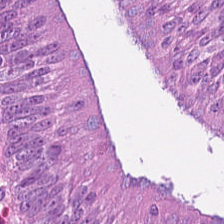H&E — malignant epithelium.
